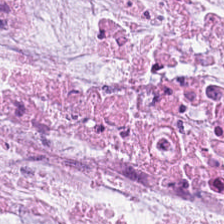Hematoxylin-and-eosin stained section — Q: What tissue type is shown here?
A: Mucin.
